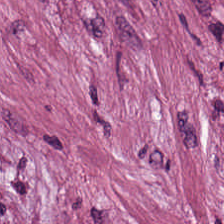H&E. {"tissue_type": "desmoplastic stroma"}
